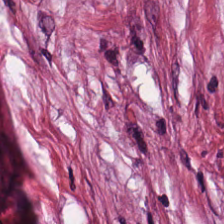Stain: hematoxylin and eosin.
Preparation: FFPE tissue section.
Tissue class: cancer-associated stroma.
